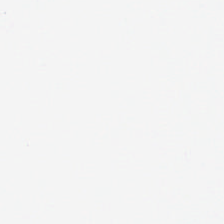H&E-stained tissue section. Empty field — background (no tissue).
